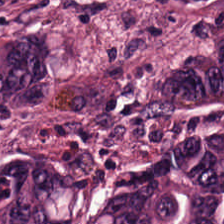Q: What tissue type is shown here?
A: This is tumor epithelium.
